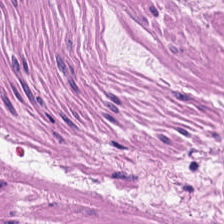Hematoxylin and eosin — Tissue type: smooth-muscle tissue.
